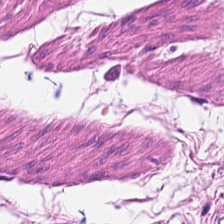Brightfield · H&E stain.
Classification — smooth muscle.
